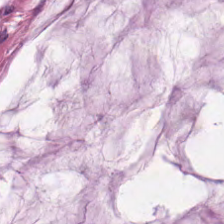H&E stain. Extracellular mucin.
